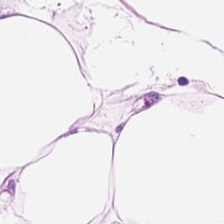Tissue = adipose tissue.
